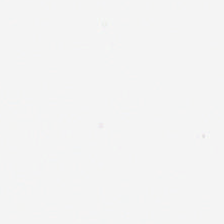FFPE tissue section. H&E stain. Field content: background.
